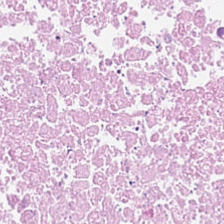Stain: hematoxylin and eosin.
Tissue: cellular debris.
